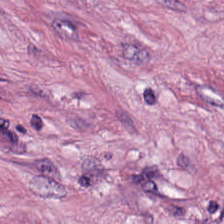0.5 microns per pixel; H&E.
This patch shows desmoplastic stroma.
